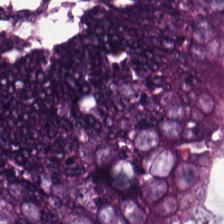Tissue class — malignant epithelium.
